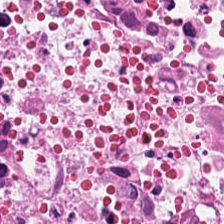224×224 px patch; H&E; FFPE. Tissue — debris.
